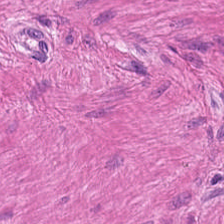Hematoxylin-and-eosin stained section — {"tissue_type": "smooth-muscle tissue"}
